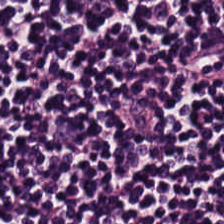Tissue type = lymphocytes.
